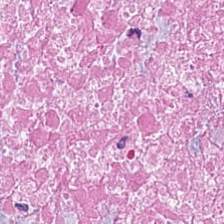H&E — Q: Classify this patch.
A: Cellular debris.
